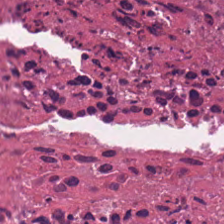Stain: hematoxylin-and-eosin stained section.
Resolution: 0.5 µm/px.
Tissue class: cellular debris.
